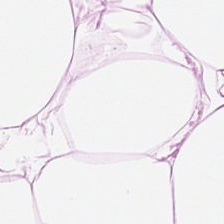H&E stain · whole-slide-image patch · 0.5 µm/px — Predominantly fat tissue.
